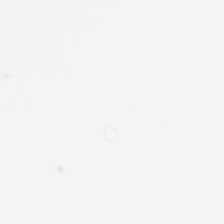Hematoxylin and eosin. Field content — background (no tissue).
